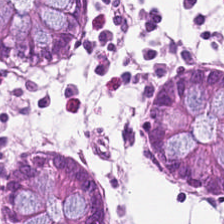Hematoxylin and eosin. The predominant tissue is benign colonic mucosa.
